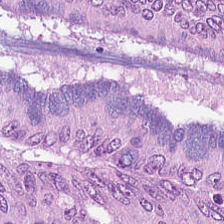Q: What type of tissue is this?
A: It is adenocarcinoma.
